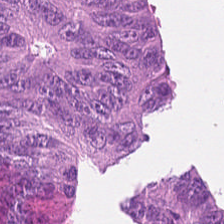0.5 microns per pixel. H&E. 224×224 pixel tile. Tissue type: malignant epithelium.
